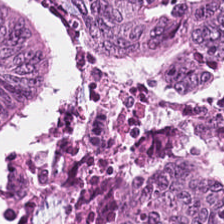Hematoxylin and eosin. 0.5 µm per pixel.
Predominantly malignant epithelium.
